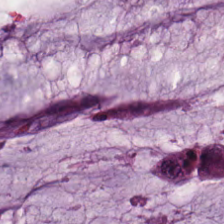Hematoxylin-and-eosin stained section; 0.5 µm/px.
This patch shows extracellular mucin.
